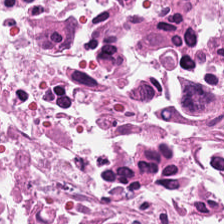224×224 px patch. Hematoxylin-and-eosin stained section. Whole-slide-image patch — Q: What is the predominant tissue type?
A: This is debris.
